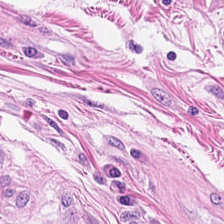FFPE · H&E stain · 0.5 µm per pixel.
Tissue class = smooth muscle.
